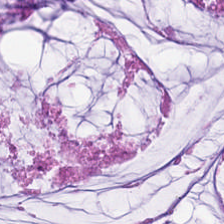Brightfield · hematoxylin and eosin. Impression — mucin.
